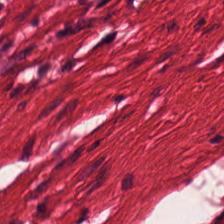Muscularis.
